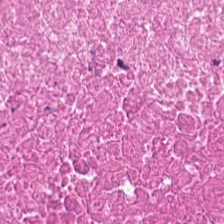Q: What tissue type is shown here?
A: This is necrotic debris.
